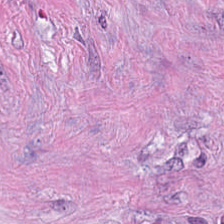Histology — tumor-associated stroma.
